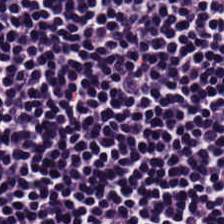H&E · whole-slide-image patch.
This patch shows lymphocyte aggregate.
